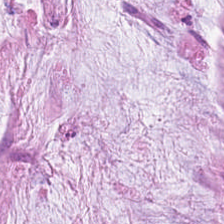H&E.
Predominantly mucin.
